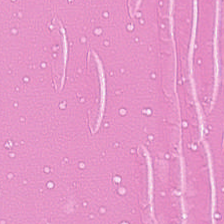Stain: H&E.
Acquisition: brightfield microscopy.
Preparation: FFPE.
Predominant tissue: cellular debris.
